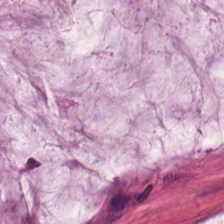Stain: H&E-stained tissue section.
Tissue class: mucin.
